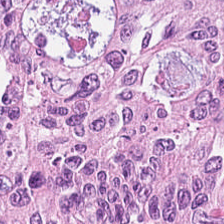The tissue class is tumor epithelium.
